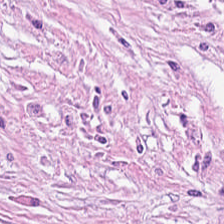Hematoxylin and eosin. 0.5 µm/px. Q: What is the predominant tissue type?
A: It is tumor-associated stroma.
